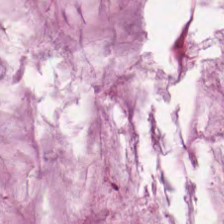{"tissue_type": "extracellular mucin"}
